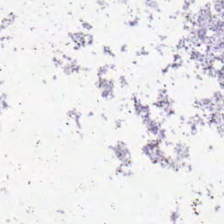Hematoxylin and eosin · 20× equivalent magnification. This patch shows background.
